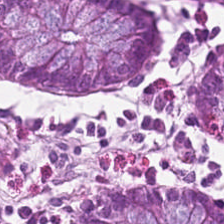H&E-stained tissue section. 0.5 microns per pixel — Tissue: normal colon mucosa.
